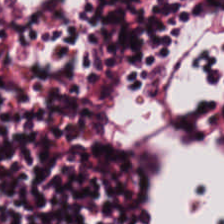H&E-stained section; the field shows lymphocyte aggregate.
